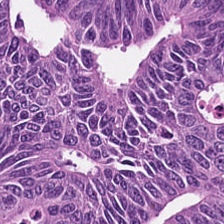0.5 microns per pixel; FFPE tissue section; hematoxylin and eosin. Impression → tumor epithelium.
